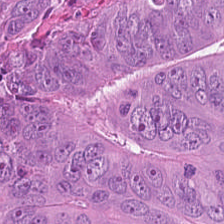Hematoxylin-and-eosin stained section.
Q: What is shown here?
A: It is colorectal adenocarcinoma epithelium.
